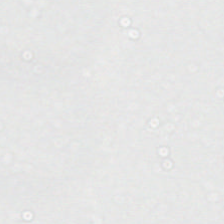0.5 µm/px. H&E. Field content: background.
